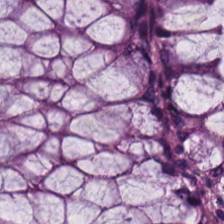0.5 µm/px; H&E-stained tissue section; brightfield microscopy. The tissue class is normal colon mucosa.
